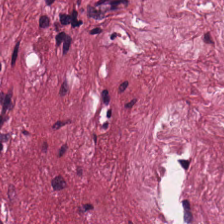H&E-stained tissue section; 0.5 µm per pixel — The predominant tissue is tumor stroma.
